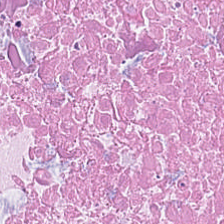Stain: hematoxylin-and-eosin stained section.
Classification: debris.
